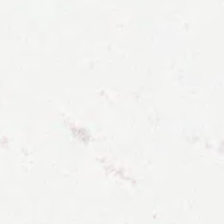H&E stain · 0.5 microns per pixel.
No tissue.
